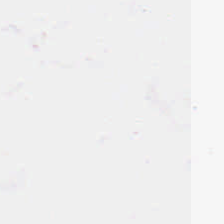Empty field — background.
